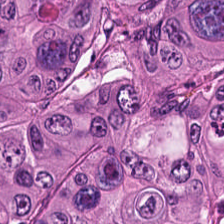H&E-stained tissue section — Tissue type — colorectal adenocarcinoma epithelium.
